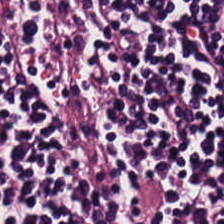H&E-stained tissue section.
The tissue class is lymphocyte aggregate.
